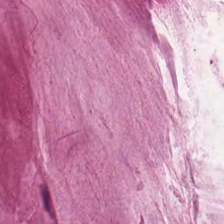Hematoxylin and eosin. The tissue type is mucin.
